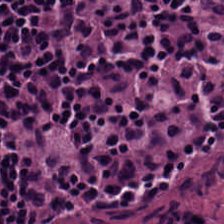Stain: hematoxylin and eosin.
Tile size: 224×224 pixel tile.
Tissue class: lymphocytic infiltrate.
